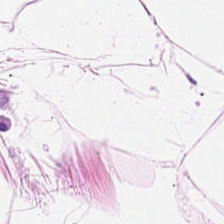H&E — adipose.
